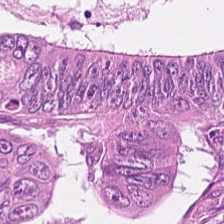Stain: H&E-stained tissue section.
Tissue class: tumor epithelium.
